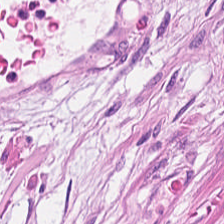H&E-stained tissue section. 0.5 µm per pixel. Predominantly smooth-muscle tissue.
